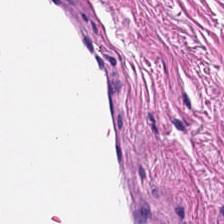224×224 px patch. Hematoxylin-and-eosin stained section. Classification: smooth muscle.
